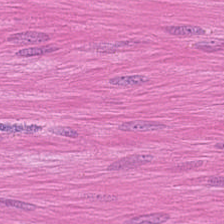H&E.
Classification — smooth-muscle tissue.
